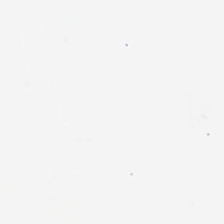FFPE tissue section · hematoxylin-and-eosin stained section.
Impression → background (no tissue).
